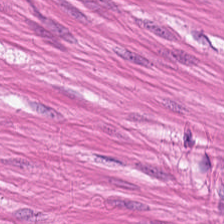20× equivalent magnification; hematoxylin and eosin.
Tissue class = smooth muscle.
